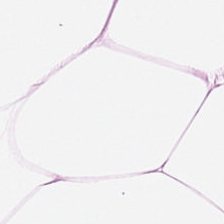H&E. This patch shows adipocytes.
